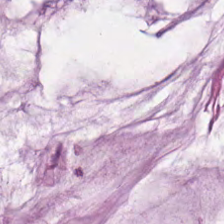H&E stain. Q: What tissue is shown?
A: The field shows mucus.
